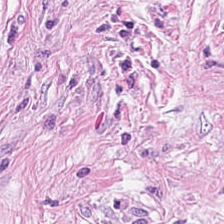Hematoxylin and eosin. Formalin-fixed paraffin-embedded section. 224×224 px patch — Tissue: tumor stroma.
